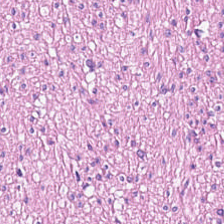H&E stain.
Q: Identify the tissue.
A: The field shows smooth-muscle tissue.
